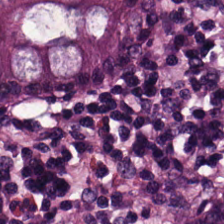FFPE; 0.5 µm per pixel; hematoxylin and eosin.
Tissue type — benign colonic mucosa.
